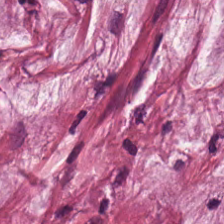Extracellular mucin.
